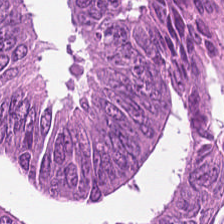Hematoxylin-and-eosin stained section. 20× equivalent magnification. FFPE. Finding → colorectal adenocarcinoma.
